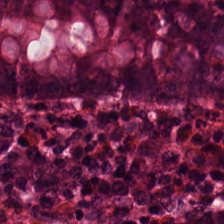Formalin-fixed paraffin-embedded section. 224×224 pixel tile. H&E-stained tissue section. The predominant tissue is benign colonic mucosa.
